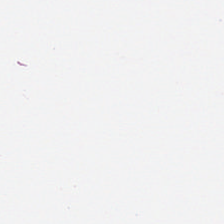Hematoxylin-and-eosin stained section — Classification = background (no tissue).
